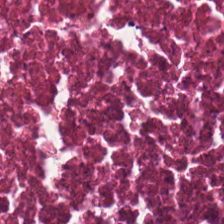Histology → debris.
